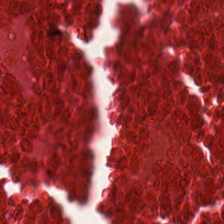Necrotic debris.
